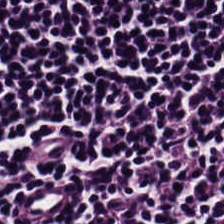H&E stain · 224×224 px patch — The tissue class is lymphocytic infiltrate.
